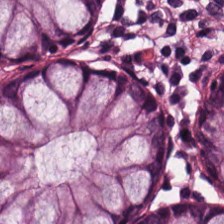Brightfield microscopy; H&E stain — Tissue — normal colonic mucosa.
